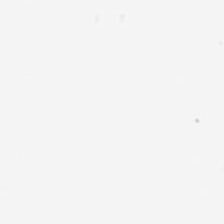Stain: hematoxylin-and-eosin stained section.
Resolution: 0.5 µm per pixel.
Acquisition: brightfield microscopy.
Classification: background (no tissue).
